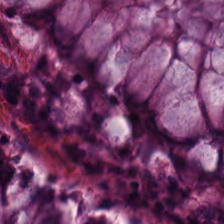Hematoxylin and eosin.
The tissue is benign colonic mucosa.
